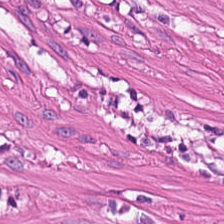H&E-stained tissue section; 224×224 px patch; FFPE tissue section. Predominant tissue: smooth muscle.
